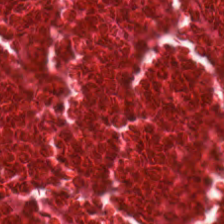H&E; FFPE. The predominant tissue is necrotic debris.
